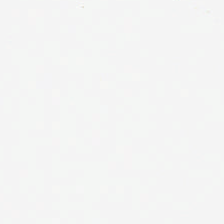H&E · FFPE tissue section · 0.5 µm per pixel. Q: What does this patch show?
A: Background.
